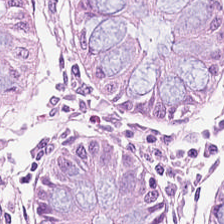H&E. Showing benign colonic mucosa.
